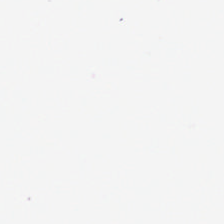H&E-stained tissue section. No tissue.
